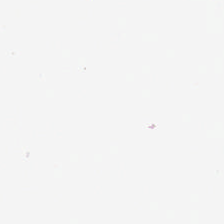Brightfield microscopy. FFPE. H&E.
Finding — background (no tissue).
